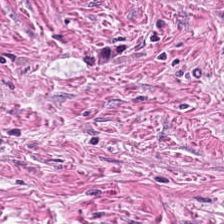FFPE tissue section. H&E.
Impression → tumor stroma.
